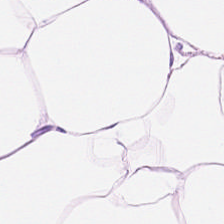H&E stain · 224×224 pixel tile · 20× equivalent magnification — Adipose tissue.
